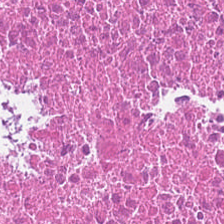224×224 px tile. Hematoxylin and eosin — {"tissue_type": "debris"}
